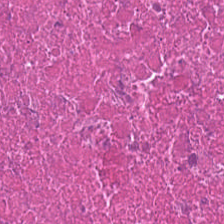H&E; 20× equivalent magnification; brightfield. This patch shows debris.
